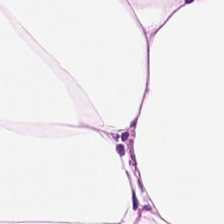Stain: hematoxylin-and-eosin stained section.
Tile size: 224×224 px patch.
Resolution: 0.5 microns per pixel.
Tissue type: adipocytes.
